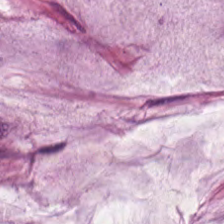Hematoxylin-and-eosin stained section. The tissue class is extracellular mucin.
